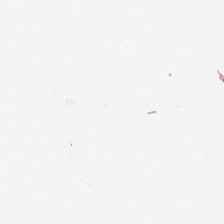Hematoxylin-and-eosin stained section; 224×224 px patch — No tissue present; background only.
